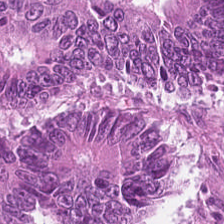Stain: H&E.
Tissue: tumor epithelium.
